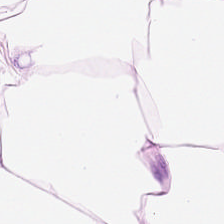Predominantly adipose tissue.
